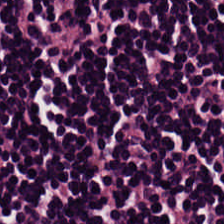H&E-stained tissue section. 0.5 microns per pixel. Classification = lymphocyte aggregate.
